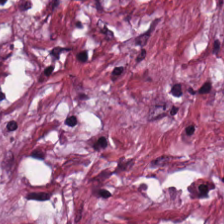H&E-stained tissue section.
The tissue is desmoplastic stroma.
